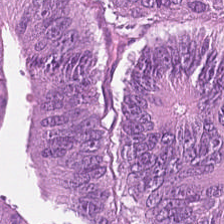Tissue type: tumor epithelium.
